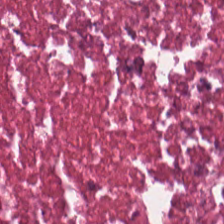FFPE tissue section. Hematoxylin and eosin. Predominantly necrotic debris.
